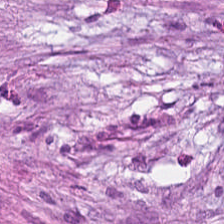H&E-stained tissue section — Tissue class: desmoplastic stroma.
